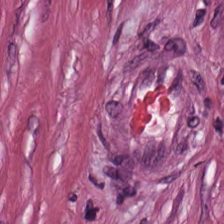The tissue here is cancer-associated stroma.
